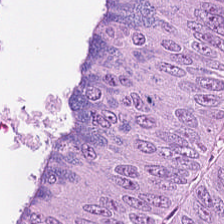Finding → tumor epithelium.
